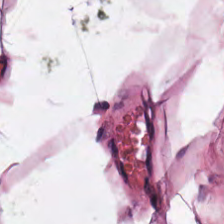Hematoxylin-and-eosin stained section · 0.5 microns per pixel. Predominantly fat tissue.
